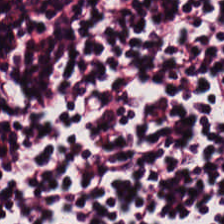Showing lymphocytic infiltrate.
